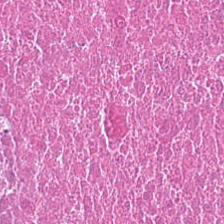Classification: cellular debris.
